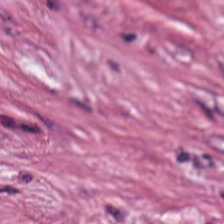WSI patch · 0.5 microns per pixel · H&E stain — Cancer-associated stroma.
